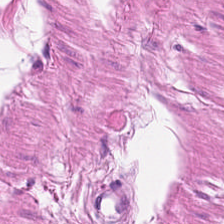H&E-stained tissue section. Q: What does this patch show?
A: It is smooth muscle.
